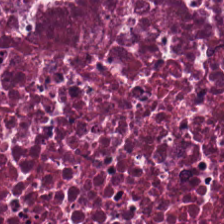224×224 px patch; H&E stain. Histology → necrotic debris.
